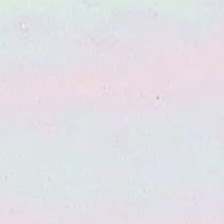FFPE; hematoxylin-and-eosin stained section. Classification = background (no tissue).
